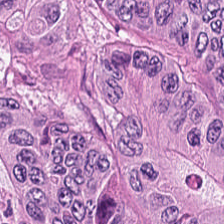224×224 pixel tile. Hematoxylin-and-eosin stained section. 0.5 µm/px — Predominantly malignant epithelium.
